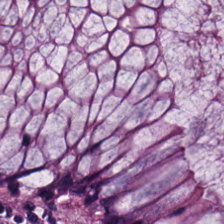Hematoxylin and eosin. 0.5 µm per pixel. WSI patch.
{"tissue_type": "normal colon mucosa"}
